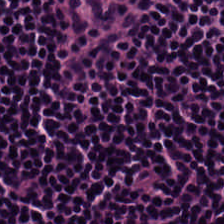H&E-stained tissue section — The predominant tissue is lymphocytic infiltrate.
